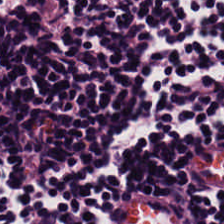Hematoxylin and eosin — The predominant tissue is lymphocyte aggregate.
